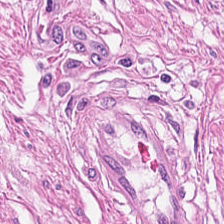Stain: hematoxylin and eosin.
Acquisition: whole-slide-image patch.
Classification: smooth-muscle tissue.
